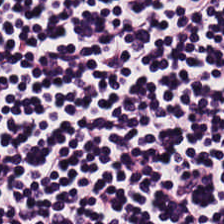Histology → lymphocyte aggregate.
